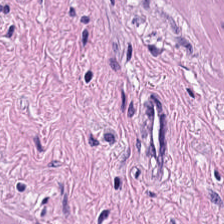224×224 pixel tile · hematoxylin and eosin. Tissue class — smooth-muscle tissue.
